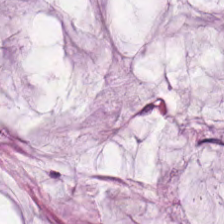H&E-stained tissue section · FFPE tissue section — Showing mucin.
